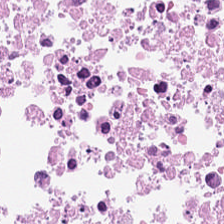H&E-stained tissue section.
Finding → cellular debris.
